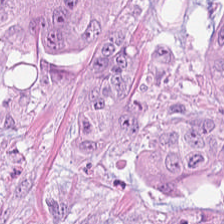Hematoxylin and eosin. Whole-slide-image patch.
This patch shows tumor epithelium.
